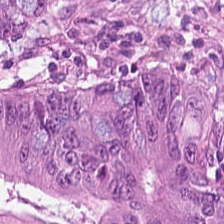Hematoxylin-and-eosin stained section; FFPE tissue section. Adenocarcinoma.
